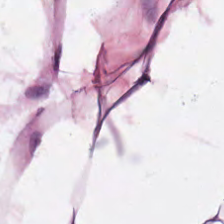Predominant tissue: fat tissue.
